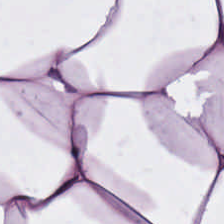Hematoxylin-and-eosin stained section — This patch shows adipose.
